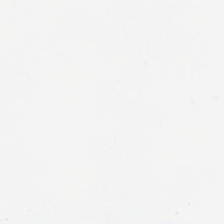H&E-stained tissue section — Histology → background (no tissue).
